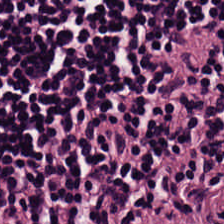224×224 px patch. FFPE tissue section. H&E — Showing lymphoid infiltrate.
